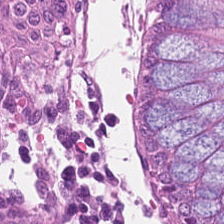224×224 pixel tile · H&E-stained tissue section · WSI patch — Classification — normal colonic mucosa.
